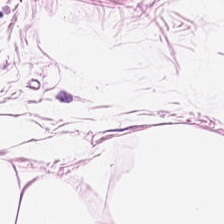Stain: H&E-stained tissue section.
Acquisition: whole-slide-image patch.
Preparation: FFPE.
Tissue: fat tissue.
